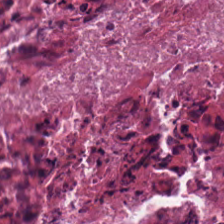224×224 pixel tile · hematoxylin-and-eosin stained section — The predominant tissue is debris.
